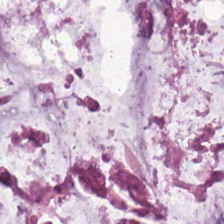0.5 microns per pixel. Hematoxylin-and-eosin stained section.
Q: What is shown in this field?
A: This is mucin.
